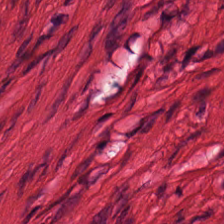224×224 px tile. Hematoxylin-and-eosin stained section. 0.5 µm/px.
Q: What does this patch show?
A: It is smooth muscle.
